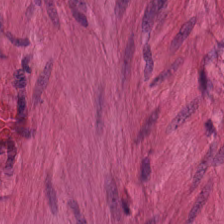H&E — The tissue class is smooth muscle.
